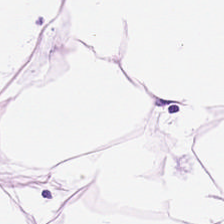224×224 px patch; FFPE; hematoxylin-and-eosin stained section — Classification: fat tissue.
